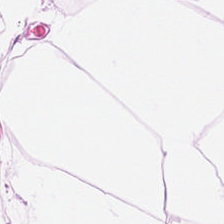H&E — This patch shows adipocytes.
